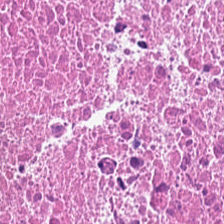Hematoxylin-and-eosin stained section · formalin-fixed paraffin-embedded section.
Finding → necrotic debris.
